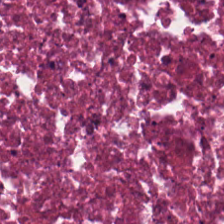H&E stain — Predominantly necrotic debris.
